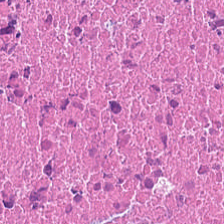H&E · 224×224 px tile. Tissue: cellular debris.
